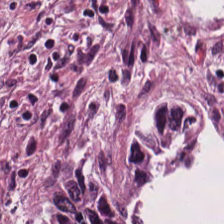Hematoxylin and eosin · brightfield microscopy — Tissue type — colorectal adenocarcinoma epithelium.
